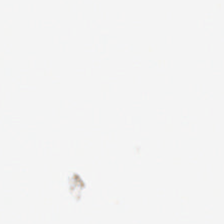H&E stain — Empty field — background (no tissue).
